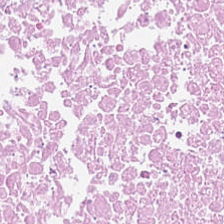Stain: hematoxylin and eosin.
Resolution: 20× equivalent magnification.
Tissue type: necrotic debris.
